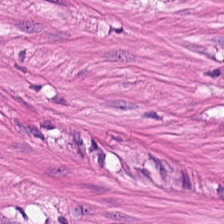Stain: H&E.
Classification: muscularis.
